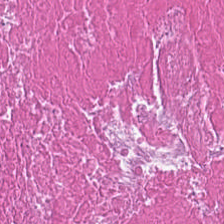Hematoxylin-and-eosin stained section; 224×224 px tile.
Showing cellular debris.
